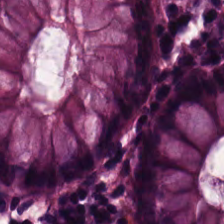0.5 µm per pixel; H&E-stained tissue section; 224×224 pixel tile.
The classification is non-neoplastic colon mucosa.
